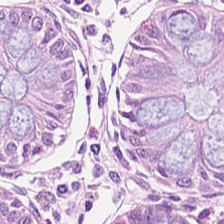H&E-stained tissue section. The tissue here is normal colonic mucosa.
